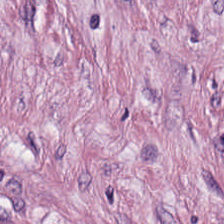224×224 px patch. Hematoxylin and eosin. Impression → tumor-associated stroma.
